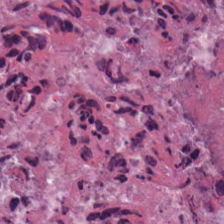H&E-stained tissue section — Predominant tissue = cellular debris.
